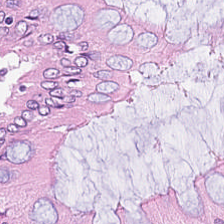Brightfield. Hematoxylin-and-eosin stained section. Tissue — benign colonic mucosa.
